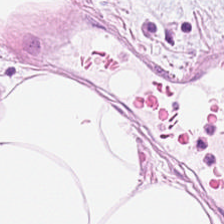Hematoxylin-and-eosin stained section. 0.5 µm per pixel. 224×224 pixel tile. Q: What tissue is shown?
A: It is adipose.
